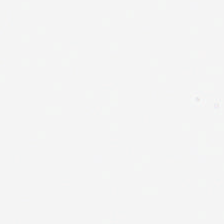0.5 microns per pixel · WSI patch · hematoxylin and eosin. This patch shows no tissue.
